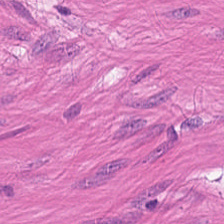H&E-stained tissue section · 224×224 px patch — Classification — muscularis.
